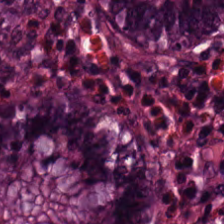H&E — Q: What is shown in this field?
A: This is benign colonic mucosa.
